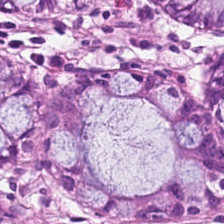H&E-stained tissue section.
Predominant tissue: normal colon mucosa.
